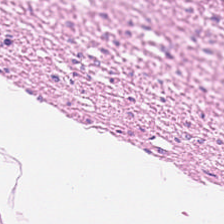0.5 microns per pixel; H&E-stained tissue section. Classification: smooth muscle.
